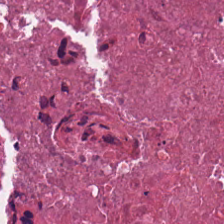Hematoxylin and eosin; 224×224 px tile.
Tissue type: debris.
